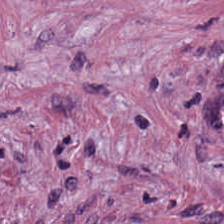Hematoxylin-and-eosin stained section — This field is tumor stroma.
